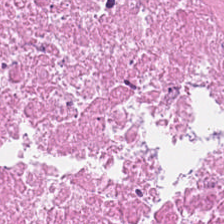Brightfield microscopy; H&E stain — Q: Identify the tissue.
A: Cellular debris.
